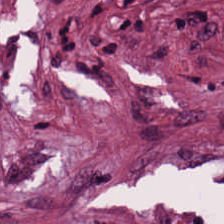H&E — desmoplastic stroma.
